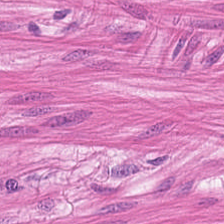H&E-stained tissue section.
Predominantly smooth-muscle tissue.
